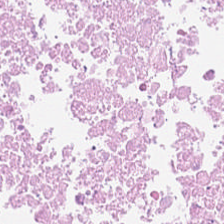Formalin-fixed paraffin-embedded section; H&E-stained tissue section — Showing necrotic debris.
